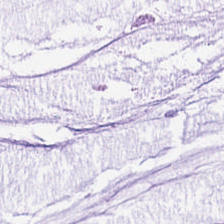Hematoxylin-and-eosin stained section. Predominantly mucus.
